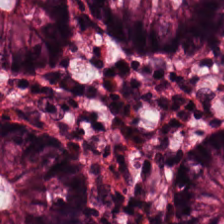The predominant tissue is non-neoplastic colon mucosa.
